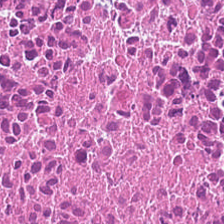H&E patch showing debris.
